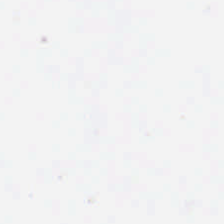Q: What is shown here?
A: The field shows no tissue.
